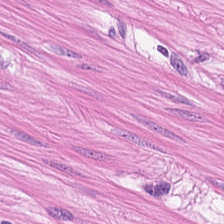Hematoxylin-and-eosin stained section · 224×224 px patch — {"tissue_type": "smooth-muscle tissue"}
